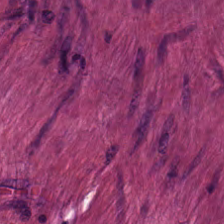H&E.
Muscularis.
